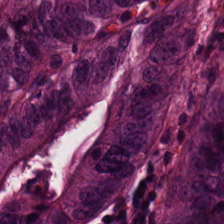H&E-stained tissue section. {"tissue_type": "colorectal adenocarcinoma epithelium"}
